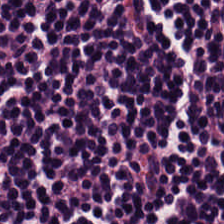224×224 px patch. 0.5 µm/px. H&E — Q: Identify the tissue.
A: The field shows lymphocytes.
